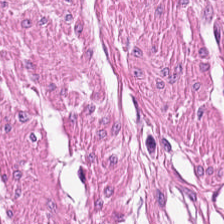Smooth-muscle tissue.
